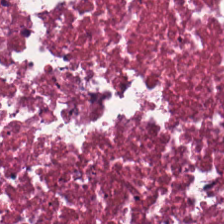Hematoxylin-and-eosin stained section. Q: Identify the tissue.
A: The field shows necrotic debris.
